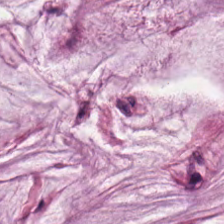FFPE tissue section; H&E stain; brightfield microscopy. Tissue: extracellular mucin.
